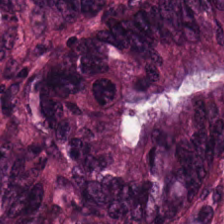20× equivalent magnification; 224×224 px patch; hematoxylin and eosin. Tissue type: tumor epithelium.
